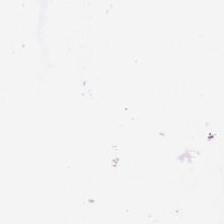H&E-stained tissue section — Classification: background.
